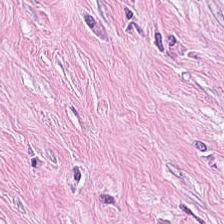Classification — cancer-associated stroma.
